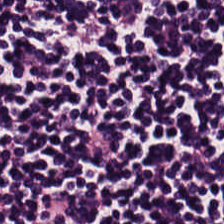FFPE tissue section; H&E-stained tissue section.
Showing lymphocytic infiltrate.
